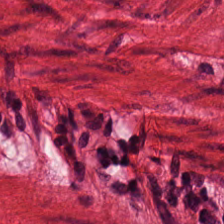Tissue: smooth-muscle tissue.
